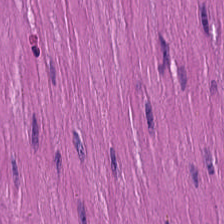Hematoxylin-and-eosin stained section.
Predominantly muscularis.
